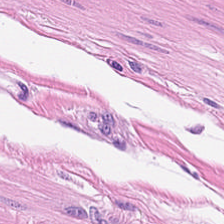Q: What tissue type is shown here?
A: Smooth-muscle tissue.
